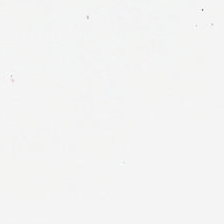The field content is no tissue.
